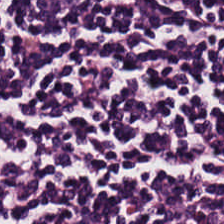224×224 px tile. Hematoxylin-and-eosin stained section. Brightfield.
Tissue class: lymphoid infiltrate.
